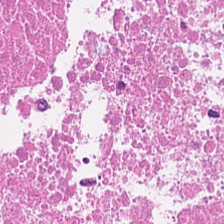WSI patch · hematoxylin-and-eosin stained section — Showing debris.
